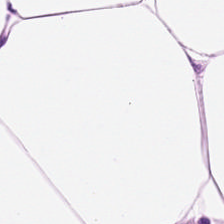Classification: fat tissue.
